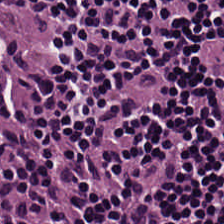H&E-stained tissue section. Tissue class = lymphocyte aggregate.
